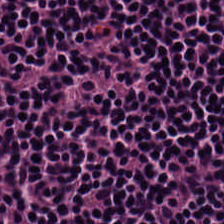H&E stain; brightfield microscopy.
Impression — lymphocytic infiltrate.
